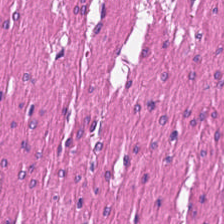The tissue class is smooth-muscle tissue.
